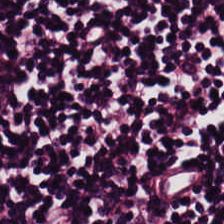Predominantly lymphocytes.
